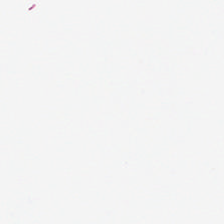H&E stain · 224×224 px tile · formalin-fixed paraffin-embedded section — The classification is background (no tissue).
